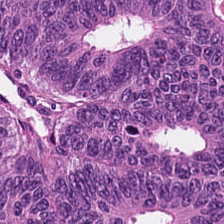H&E stain. Q: What is the predominant tissue type?
A: This is colorectal adenocarcinoma epithelium.
